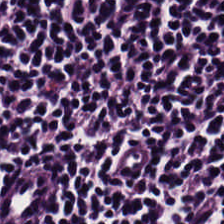Brightfield · H&E-stained tissue section. Finding — lymphocytic infiltrate.
